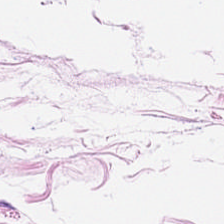224×224 px tile · hematoxylin-and-eosin stained section. This field is adipose.
